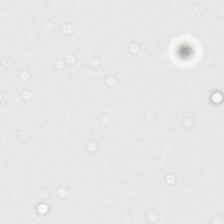Formalin-fixed paraffin-embedded section. H&E stain — No tissue present; background only.
